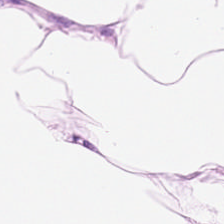Predominant tissue — adipose.
